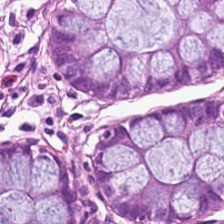FFPE · 0.5 µm/px · H&E stain — Tissue — normal colon mucosa.
